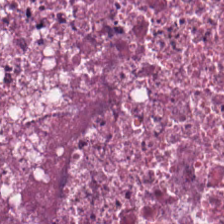Impression — necrotic debris.
